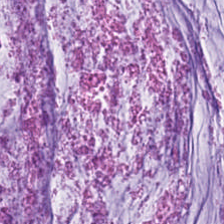20× equivalent magnification · H&E-stained tissue section — Finding — mucus.
